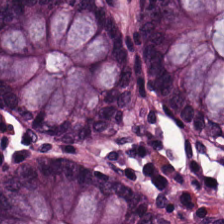0.5 microns per pixel; H&E-stained tissue section.
Q: What does this patch show?
A: The field shows benign colonic mucosa.
